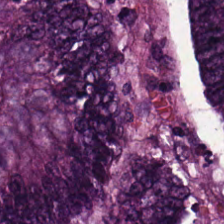H&E-stained tissue section showing malignant epithelium.
